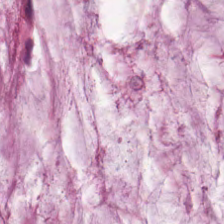H&E stain · 0.5 µm/px · FFPE tissue section. Finding → mucin.
